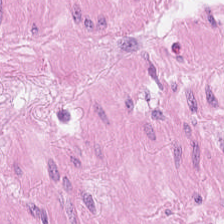20× equivalent magnification; hematoxylin-and-eosin stained section; 224×224 pixel tile. Smooth-muscle tissue.
